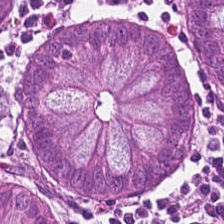Q: What tissue type is shown here?
A: It is benign colonic mucosa.
